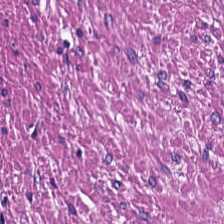H&E stain — Finding — smooth muscle.
